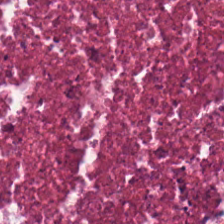Hematoxylin-and-eosin stained section; 224×224 px patch — Predominantly debris.
